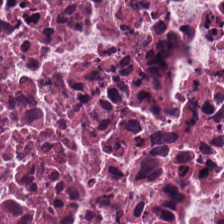H&E-stained tissue section · whole-slide-image patch · 224×224 pixel tile. Classification = necrotic debris.
